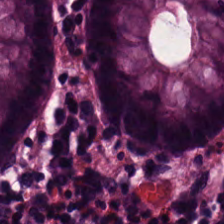Histology → normal colon mucosa.
